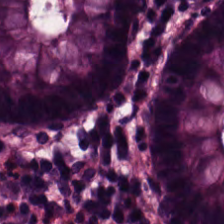H&E-stained tissue section.
Q: What is the predominant tissue type?
A: It is normal colon mucosa.
